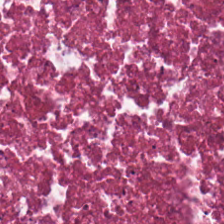H&E stain.
Impression — necrotic debris.
